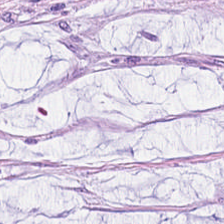Hematoxylin and eosin · whole-slide-image patch. Tissue class — mucin.
